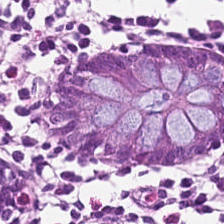WSI patch; H&E stain; 224×224 px tile. Tissue = non-neoplastic colon mucosa.
